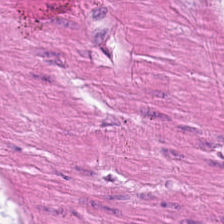Stain: H&E.
Predominant tissue: muscularis.
